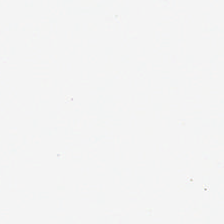Stain: H&E stain.
Resolution: 0.5 µm/px.
Field content: background (no tissue).
